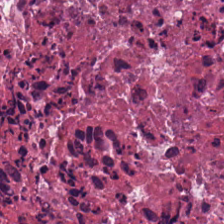WSI patch; hematoxylin and eosin.
Impression — debris.
